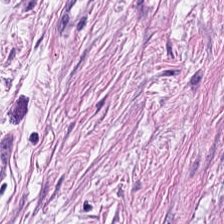Hematoxylin and eosin · 224×224 pixel tile.
The predominant tissue is muscularis.
